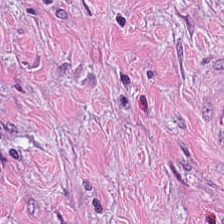Q: Identify the tissue.
A: This is desmoplastic stroma.
